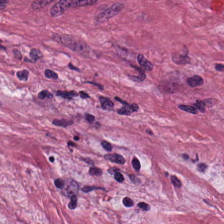H&E stain.
Predominant tissue = cancer-associated stroma.
